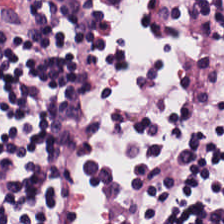H&E-stained tissue section — Lymphocyte aggregate.
